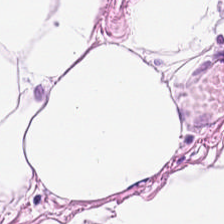Hematoxylin and eosin. Impression — adipose.
